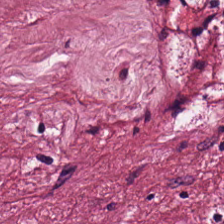Q: What tissue type is shown here?
A: This is tumor-associated stroma.
